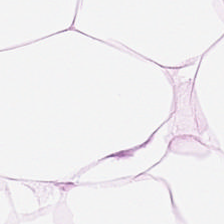Hematoxylin-and-eosin stained section.
Showing adipose tissue.
